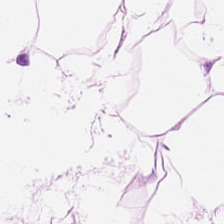Whole-slide-image patch. H&E-stained tissue section. 224×224 px patch.
{"tissue_type": "adipose tissue"}
